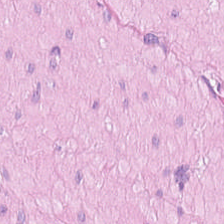H&E stain; FFPE tissue section; 224×224 pixel tile — This field is smooth muscle.
